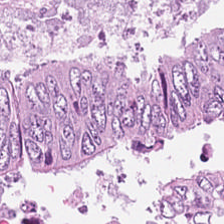Hematoxylin-and-eosin stained section — Colorectal adenocarcinoma epithelium.
